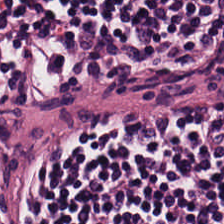H&E stain — Predominantly lymphocytes.
